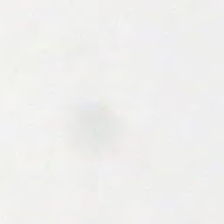The classification is empty background.
